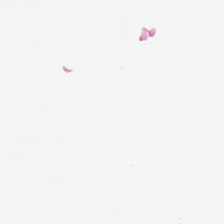Hematoxylin and eosin. Q: What is shown here?
A: No tissue.
